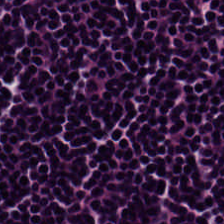Finding → lymphoid infiltrate.
